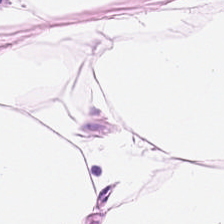H&E-stained tissue section · 224×224 px tile.
Finding — adipocytes.
